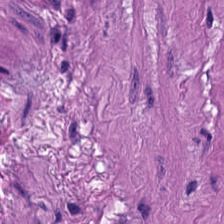The predominant tissue is smooth muscle.
